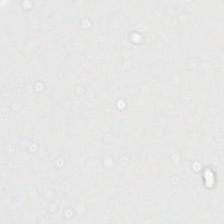Brightfield microscopy · H&E-stained tissue section — Field content = background.
